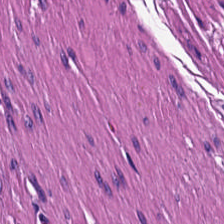H&E · 0.5 µm per pixel.
Showing smooth muscle.
